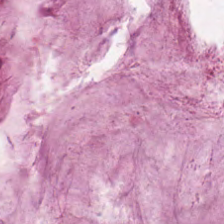Hematoxylin-and-eosin section: mucus.
